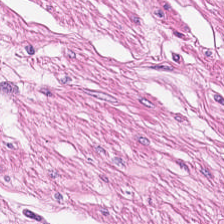H&E. FFPE tissue section. The predominant tissue is muscularis.
